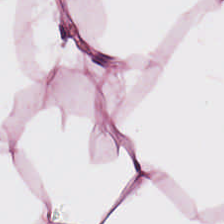Hematoxylin and eosin · 224×224 px patch · 0.5 microns per pixel.
The predominant tissue is adipose.
